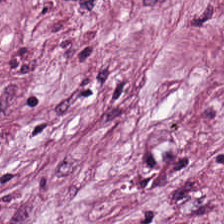Hematoxylin-and-eosin stained section. The classification is tumor stroma.
